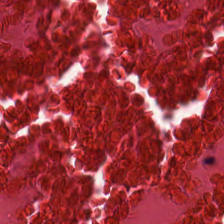Stain: hematoxylin-and-eosin stained section.
Tissue: necrotic debris.
